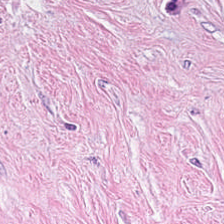H&E-stained tissue section. 0.5 microns per pixel — Showing tumor stroma.
